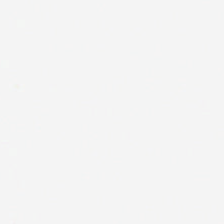H&E.
Q: What is shown in this field?
A: The field shows background (no tissue).
